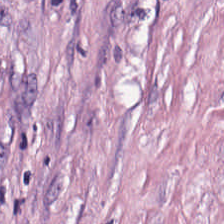H&E. Brightfield microscopy. Tissue type: desmoplastic stroma.
